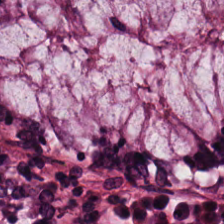Hematoxylin-and-eosin stained section. Impression — normal colon mucosa.
